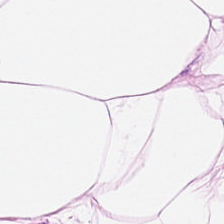Stain: hematoxylin-and-eosin stained section.
Tissue type: adipose tissue.
